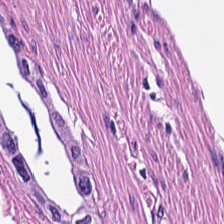H&E patch showing smooth muscle.
